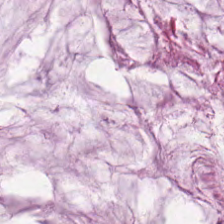Finding — mucin.
